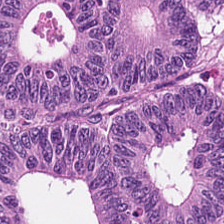0.5 µm per pixel. Hematoxylin and eosin — Classification — tumor epithelium.
